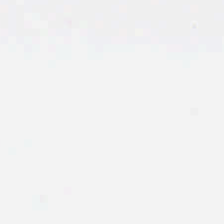H&E — {"content": "no tissue"}
